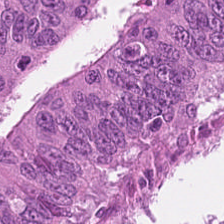Stain: hematoxylin-and-eosin stained section.
Predominant tissue: adenocarcinoma.
